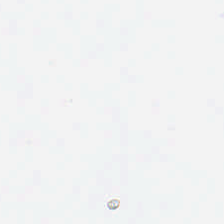No tissue.
